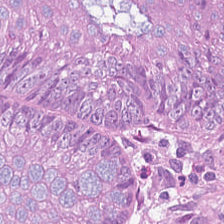H&E stain — Q: What is shown here?
A: Tumor epithelium.
